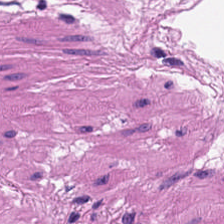20× equivalent magnification · H&E-stained tissue section — Classification — muscularis.
